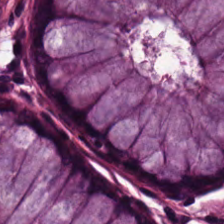Showing benign colonic mucosa.
